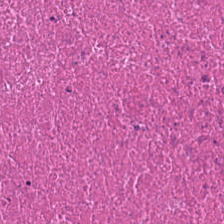H&E.
Tissue type = debris.
